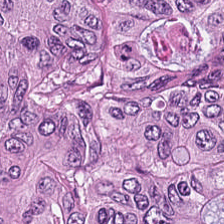H&E stain. Tissue: colorectal adenocarcinoma epithelium.
